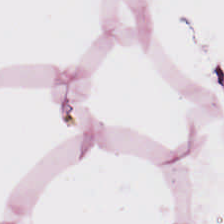H&E stain.
Predominantly adipocytes.
